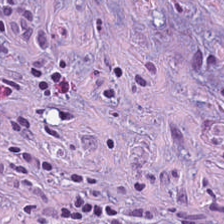H&E-stained tissue section. The predominant tissue is tumor-associated stroma.
